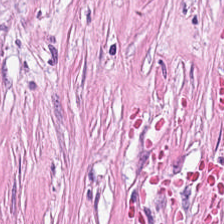Impression → tumor-associated stroma.
